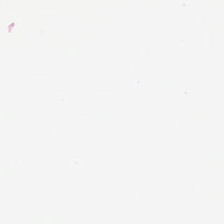Content = empty background.
